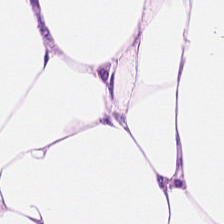0.5 µm/px · H&E · brightfield. This field is fat tissue.
